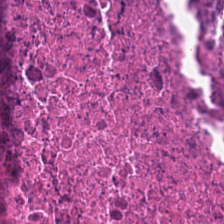H&E. The predominant tissue is cellular debris.
